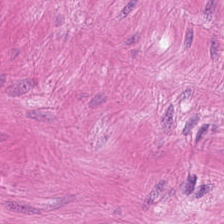Hematoxylin-and-eosin section: muscularis.
